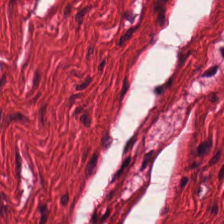H&E. Predominantly muscularis.
